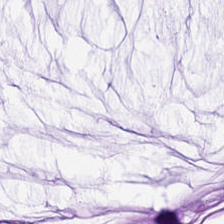224×224 px tile. Hematoxylin-and-eosin stained section. FFPE tissue section. Q: What tissue is shown?
A: This is mucin.
